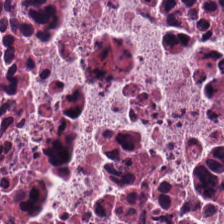H&E.
Q: What tissue is shown?
A: Necrotic debris.
